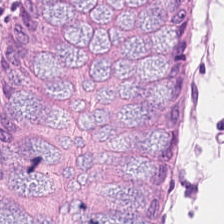H&E-stained tissue section — Q: What does this patch show?
A: The field shows normal colonic mucosa.
